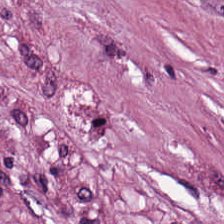The tissue type is cancer-associated stroma.
